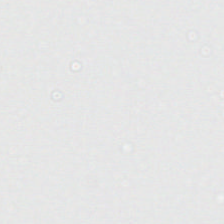Stain: H&E.
Tile size: 224×224 pixel tile.
Preparation: FFPE tissue section.
Content: background.
